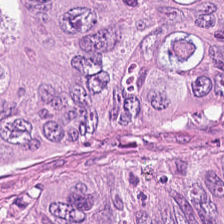Showing adenocarcinoma.
